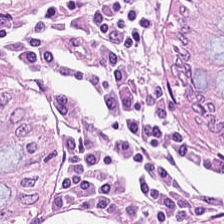H&E — The tissue here is non-neoplastic colon mucosa.
